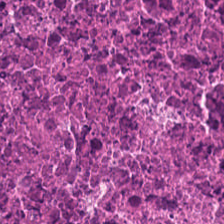H&E stain. Predominantly debris.
